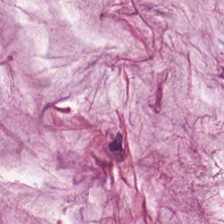H&E stain · whole-slide-image patch — Classification: extracellular mucin.
